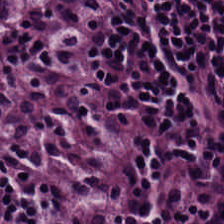Hematoxylin and eosin. The tissue here is lymphocytic infiltrate.
